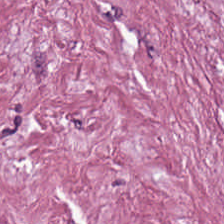Hematoxylin and eosin.
Q: What is shown here?
A: Desmoplastic stroma.
